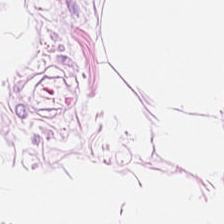Hematoxylin and eosin.
Q: What tissue is shown?
A: This is adipose tissue.
